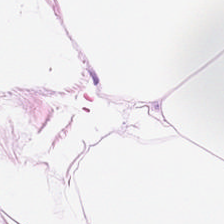Hematoxylin and eosin. Predominant tissue = adipose.
